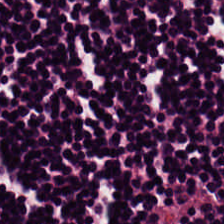H&E-stained tissue section; 224×224 px patch — Q: What is shown here?
A: The field shows lymphocytes.
